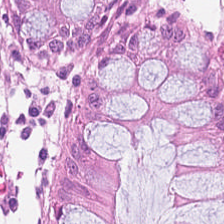H&E-stained tissue section. Predominantly normal colonic mucosa.
